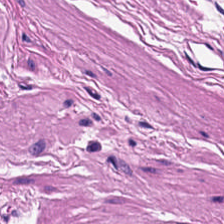H&E. 0.5 µm/px.
This field is smooth-muscle tissue.
